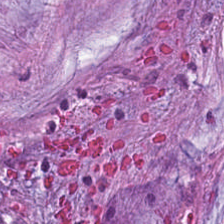FFPE tissue section; 224×224 pixel tile; hematoxylin-and-eosin stained section — Finding → mucus.
